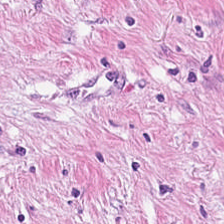H&E. FFPE. 0.5 microns per pixel. The classification is desmoplastic stroma.
